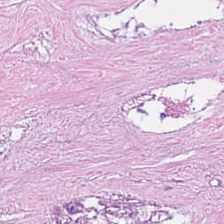Predominantly necrotic debris.
